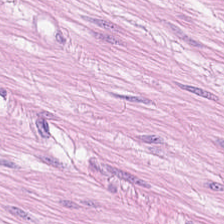Hematoxylin and eosin.
Finding — muscularis.
